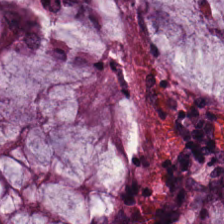0.5 microns per pixel. Hematoxylin-and-eosin stained section. {"tissue_type": "non-neoplastic colon mucosa"}
